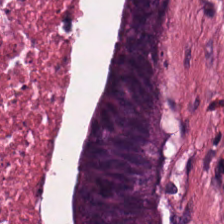H&E-stained tissue section. 20× equivalent magnification. Formalin-fixed paraffin-embedded section.
Q: What is the predominant tissue type?
A: It is debris.
